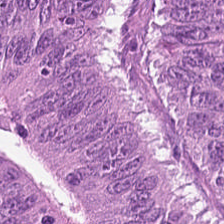H&E stain. The tissue here is malignant epithelium.
